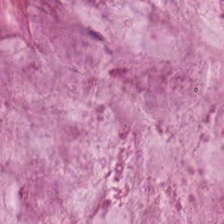Whole-slide-image patch. Hematoxylin and eosin. 224×224 pixel tile. Q: What tissue is shown?
A: The field shows mucus.
